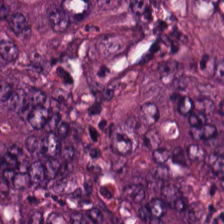WSI patch. H&E. The predominant tissue is colorectal adenocarcinoma epithelium.
